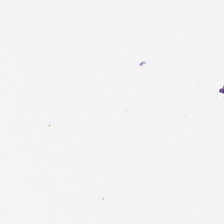This field is background (no tissue).
